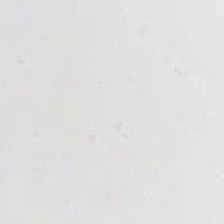Impression → background (no tissue).
